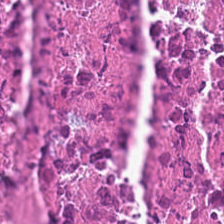Hematoxylin-and-eosin stained section — This patch shows necrotic debris.
